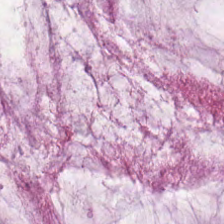Hematoxylin and eosin — Predominant tissue = extracellular mucin.
